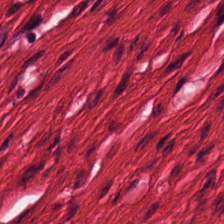H&E stain. 0.5 µm/px. Formalin-fixed paraffin-embedded section.
Q: What type of tissue is this?
A: It is muscularis.
